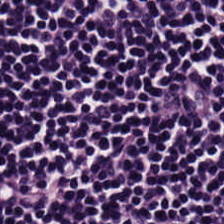Stain: H&E stain.
Predominant tissue: lymphoid infiltrate.
